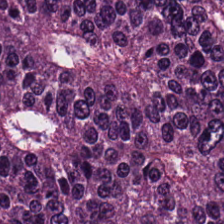Q: What is shown here?
A: It is malignant epithelium.
